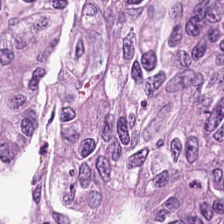Hematoxylin-and-eosin stained section.
The predominant tissue is adenocarcinoma.
